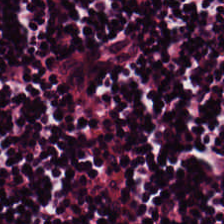Hematoxylin-and-eosin stained section · 224×224 px tile. This field is lymphoid infiltrate.
